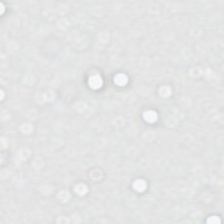Stain: hematoxylin and eosin.
Preparation: FFPE tissue section.
Acquisition: brightfield.
Classification: background (no tissue).
